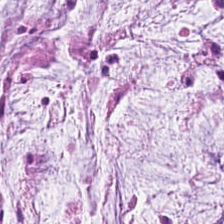H&E-stained tissue section. FFPE — Predominantly mucus.
